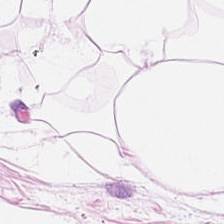Hematoxylin-and-eosin stained section.
The tissue is adipose.
